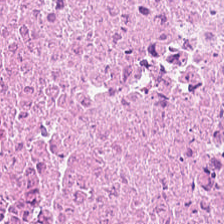H&E-stained tissue section — Tissue = necrotic debris.
